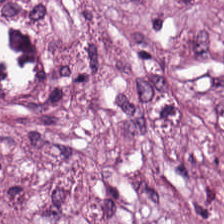This patch shows cancer-associated stroma.
